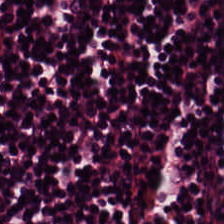The tissue type is lymphoid infiltrate.
